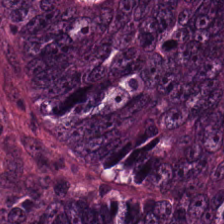Stain: hematoxylin and eosin.
Tissue class: tumor epithelium.
